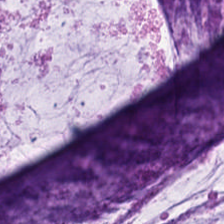Hematoxylin-and-eosin section: extracellular mucin.
